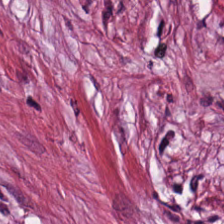Stain: H&E-stained tissue section.
Tissue class: cancer-associated stroma.
